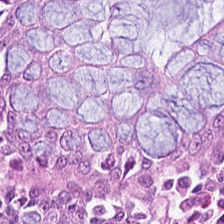Hematoxylin-and-eosin stained section. Whole-slide-image patch.
This field is normal colonic mucosa.
